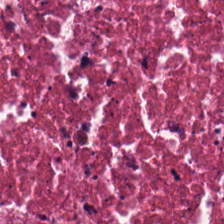H&E. The classification is necrotic debris.
